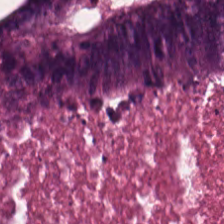20× equivalent magnification · H&E.
The predominant tissue is debris.
